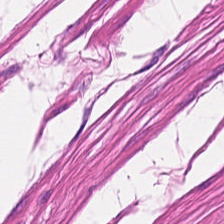224×224 pixel tile; H&E stain; brightfield microscopy.
The classification is smooth muscle.
